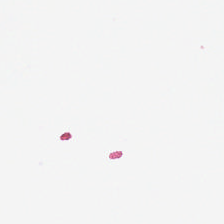Finding → empty background.
